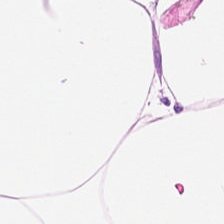H&E.
The predominant tissue is adipocytes.
